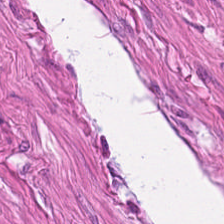Hematoxylin and eosin — The tissue here is muscularis.
